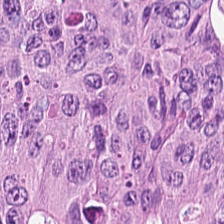Hematoxylin and eosin. Predominant tissue = colorectal adenocarcinoma epithelium.
